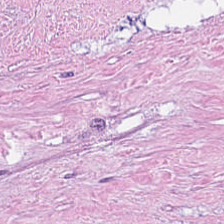Hematoxylin and eosin — Tissue class = debris.
